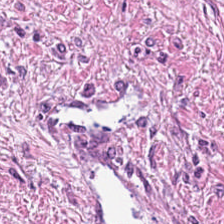Whole-slide-image patch; hematoxylin-and-eosin stained section; FFPE.
This patch shows tumor stroma.
